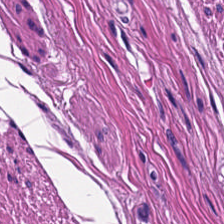Finding → smooth-muscle tissue.
